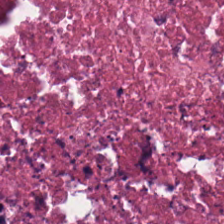The tissue here is necrotic debris.
